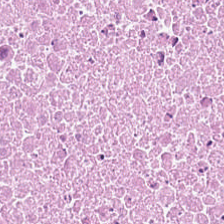Hematoxylin and eosin.
The tissue here is necrotic debris.
